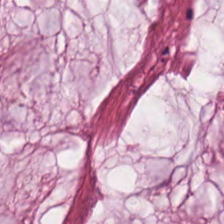Tissue class — mucin.
